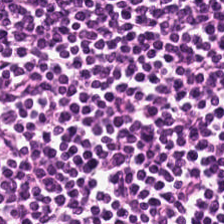Stain: H&E-stained tissue section.
Tissue type: lymphoid infiltrate.
